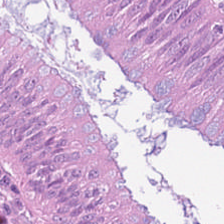H&E-stained tissue section · whole-slide-image patch · 224×224 px patch — Showing malignant epithelium.
